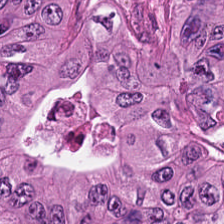H&E patch showing adenocarcinoma.
